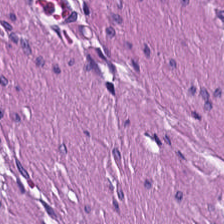Histology → smooth-muscle tissue.
